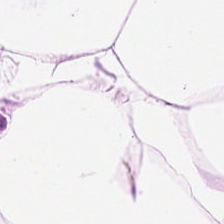H&E; brightfield.
The tissue is adipose.
